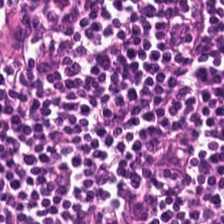Hematoxylin and eosin.
Predominant tissue — lymphocytic infiltrate.
